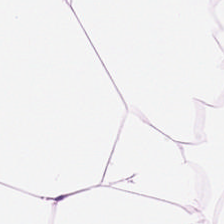H&E stain.
Finding → adipocytes.
